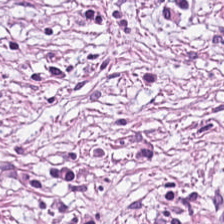Predominantly tumor stroma.
